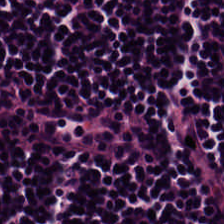H&E-stained tissue section · FFPE · 224×224 px patch. Showing lymphocyte aggregate.
